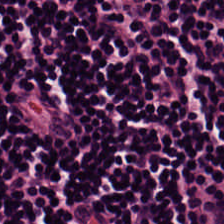FFPE tissue section. Hematoxylin and eosin — Tissue — lymphocytic infiltrate.
